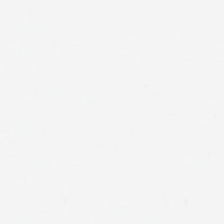H&E-stained tissue section · 224×224 px tile.
This field is background (no tissue).
